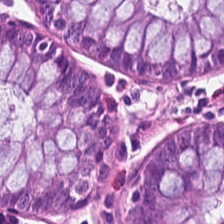Stain: H&E-stained tissue section.
Tissue type: non-neoplastic colon mucosa.
